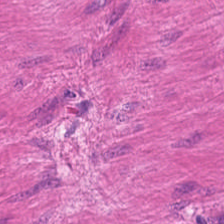Stain: H&E.
Tile size: 224×224 px patch.
Tissue class: muscularis.
